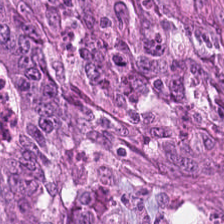H&E stain; 0.5 µm per pixel. The classification is tumor epithelium.
